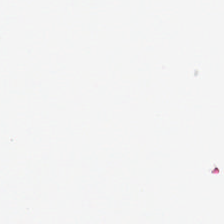Empty field — empty background.
